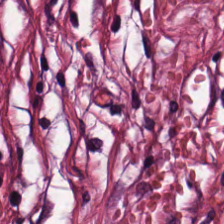Classification — cancer-associated stroma.
